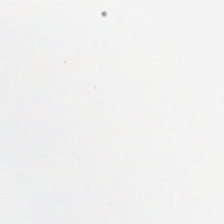Background — no tissue in this field.
